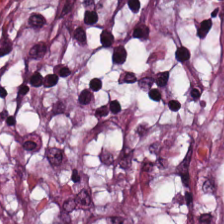H&E patch showing tumor-associated stroma.
